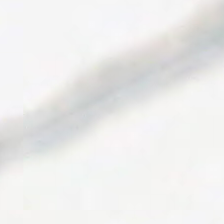Formalin-fixed paraffin-embedded section. Hematoxylin-and-eosin stained section.
The field content is no tissue.
